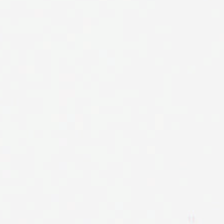H&E stain.
Classification: no tissue.
